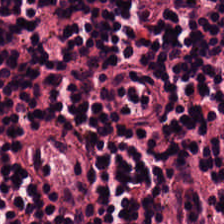H&E. FFPE.
Predominantly lymphocytic infiltrate.
